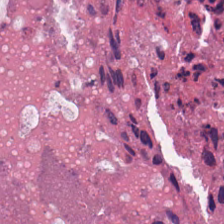H&E patch showing cellular debris.
